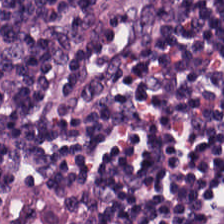224×224 px tile; 0.5 µm/px; H&E stain — The predominant tissue is lymphocytes.
